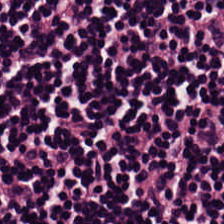H&E stain — Lymphoid infiltrate.
